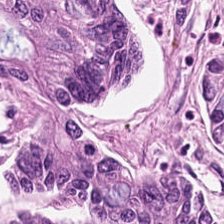H&E stain; 0.5 µm per pixel. Tissue: colorectal adenocarcinoma epithelium.
